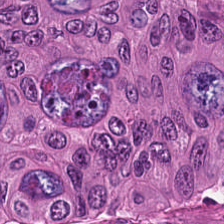Brightfield microscopy · hematoxylin and eosin. Predominant tissue: malignant epithelium.
